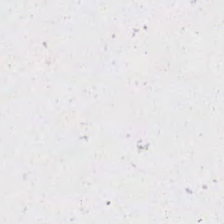H&E-stained tissue section. Empty field — no tissue.
